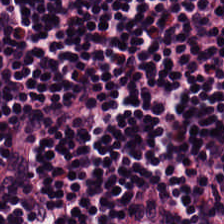H&E stain. Brightfield microscopy. The tissue here is lymphocyte aggregate.
